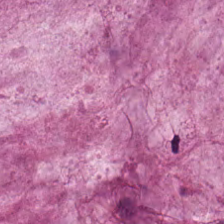H&E-stained tissue section. Mucin.
